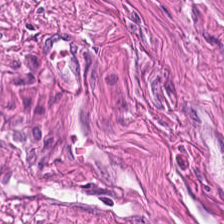H&E stain · whole-slide-image patch.
Predominant tissue: smooth muscle.
